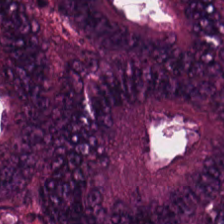H&E-stained tissue section.
Showing adenocarcinoma.
